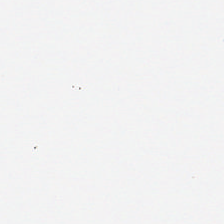H&E — No tissue present; background only.
